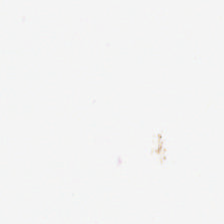H&E — This patch shows empty background.
